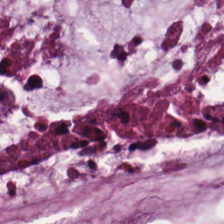H&E-stained tissue section; formalin-fixed paraffin-embedded section — Tissue type = mucus.
